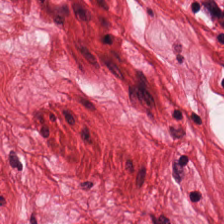Tissue: muscularis.
